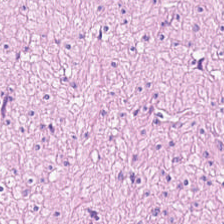Formalin-fixed paraffin-embedded section; H&E stain; brightfield. The tissue here is smooth muscle.
